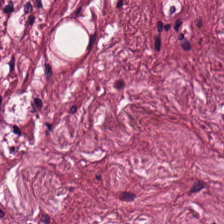H&E — cancer-associated stroma.
